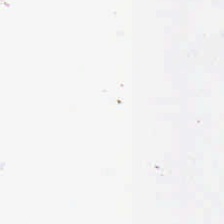H&E-stained tissue section. {"content": "background (no tissue)"}
